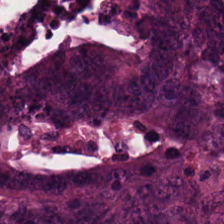The tissue is tumor epithelium.
